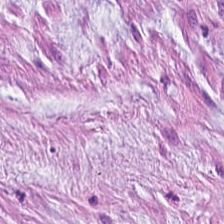H&E-stained tissue section — This patch shows extracellular mucin.
